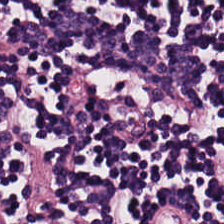H&E; formalin-fixed paraffin-embedded section. {"tissue_type": "lymphocytes"}
